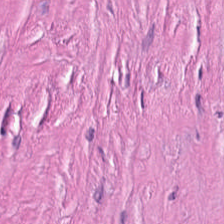Stain: hematoxylin and eosin.
Tissue type: tumor-associated stroma.
